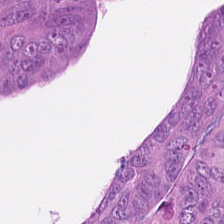WSI patch · H&E stain.
Tissue class = tumor epithelium.
